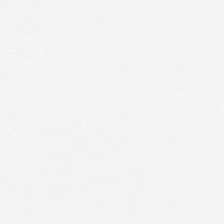H&E-stained tissue section.
No tissue.
